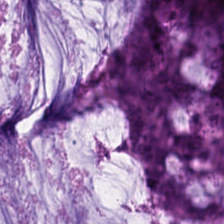Hematoxylin-and-eosin stained section.
This patch shows mucus.
